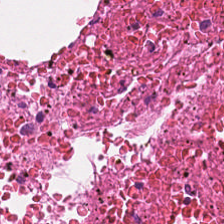Hematoxylin-and-eosin stained section; WSI patch.
Tissue type — cellular debris.
